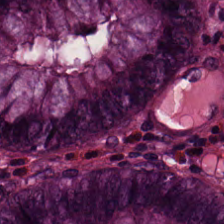Hematoxylin-and-eosin stained section — This field is benign colonic mucosa.
